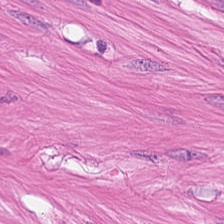0.5 microns per pixel; H&E stain — Predominant tissue: muscularis.
